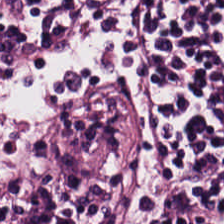224×224 px tile. H&E stain. This field is lymphocytic infiltrate.
